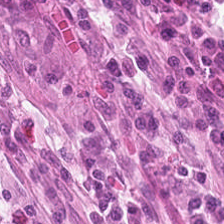This patch shows benign colonic mucosa.
